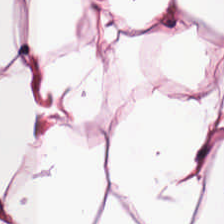H&E. 0.5 microns per pixel. Formalin-fixed paraffin-embedded section — Impression — adipose.
